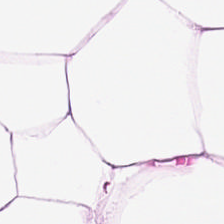0.5 µm per pixel; H&E. {"tissue_type": "adipose tissue"}
